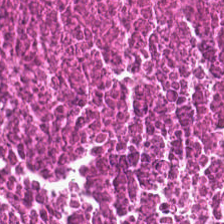Hematoxylin-and-eosin stained section · brightfield. Predominantly cellular debris.
